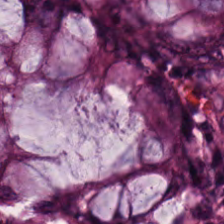Q: What does this patch show?
A: Normal colon mucosa.
